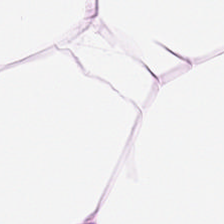H&E — The tissue type is adipose.
